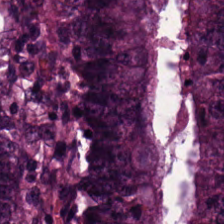224×224 pixel tile · WSI patch · hematoxylin and eosin. {"tissue_type": "colorectal adenocarcinoma"}
